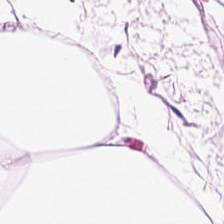Histology — fat tissue.
